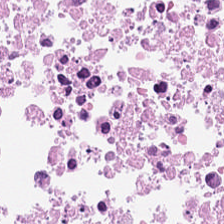H&E.
The tissue here is necrotic debris.
